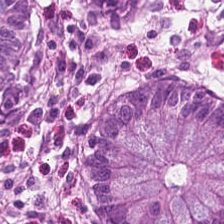Hematoxylin and eosin. Predominant tissue — normal colon mucosa.
